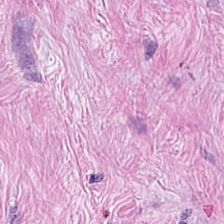H&E-stained tissue section · 20× equivalent magnification · FFPE tissue section. The tissue class is tumor stroma.
